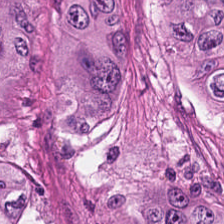H&E stain — Q: What type of tissue is this?
A: The field shows adenocarcinoma.
